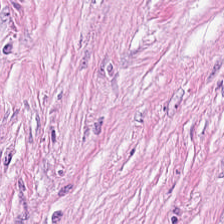Tissue — tumor stroma.
